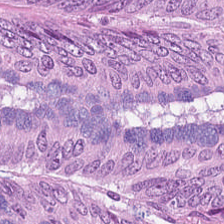Hematoxylin-and-eosin stained section. The predominant tissue is colorectal adenocarcinoma epithelium.
